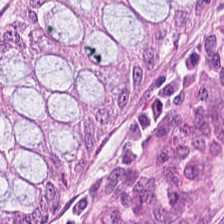H&E; 0.5 µm per pixel — Predominant tissue = normal colonic mucosa.
